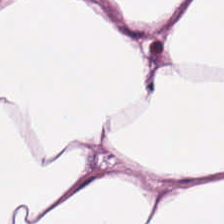H&E-stained tissue section — Q: What is shown in this field?
A: This is fat tissue.
